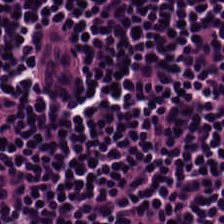Brightfield microscopy; hematoxylin-and-eosin stained section; FFPE. This patch shows lymphoid infiltrate.
